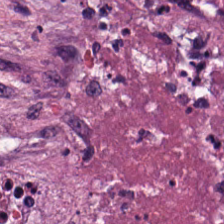The tissue here is cellular debris.
